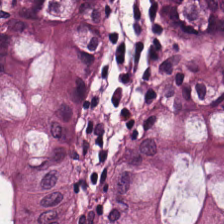H&E stain.
This patch shows normal colon mucosa.
